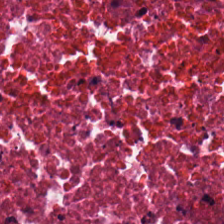Tissue class: cellular debris.
